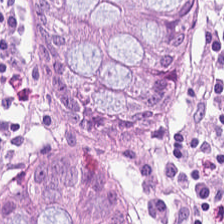Stain: H&E-stained tissue section.
Classification: non-neoplastic colon mucosa.
